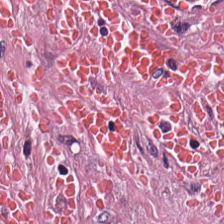Desmoplastic stroma.
